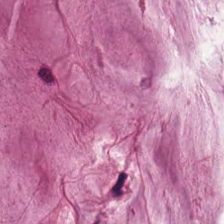The tissue is mucus.
